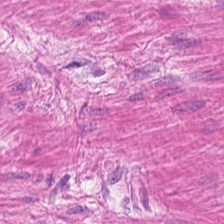20× equivalent magnification. WSI patch. H&E-stained tissue section.
Smooth-muscle tissue.
